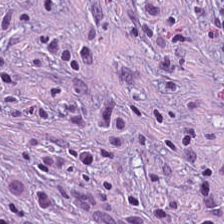Hematoxylin and eosin. 224×224 pixel tile.
Predominant tissue — desmoplastic stroma.
